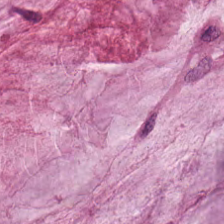{"tissue_type": "extracellular mucin"}
